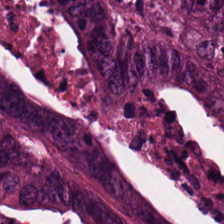H&E; 20× equivalent magnification — Classification — adenocarcinoma.
